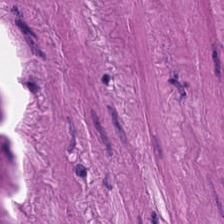Impression — smooth-muscle tissue.
